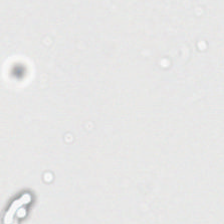H&E — Q: What does this patch show?
A: No tissue.
